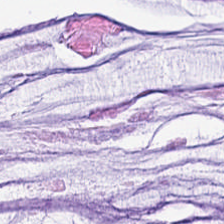Q: Classify this patch.
A: This is mucus.
